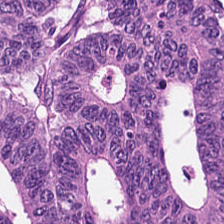H&E-stained tissue section; 224×224 px patch — Tissue type = malignant epithelium.
